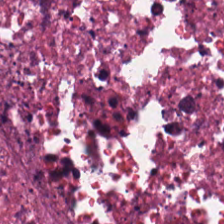Hematoxylin and eosin.
Histology — cellular debris.
